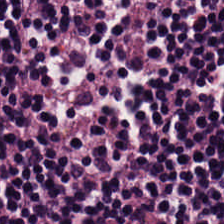FFPE. H&E-stained tissue section. WSI patch — The tissue here is lymphocyte aggregate.
